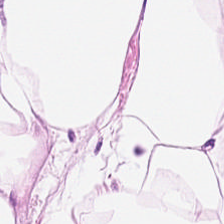Formalin-fixed paraffin-embedded section; hematoxylin and eosin.
Q: What does this patch show?
A: It is adipocytes.
